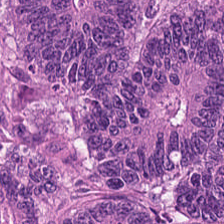Q: What is shown here?
A: The field shows tumor epithelium.
